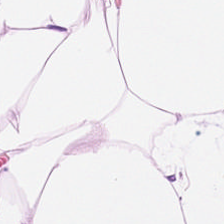H&E; FFPE. The tissue here is adipose.
